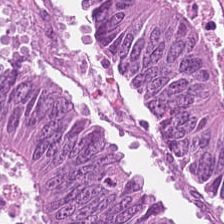FFPE · H&E stain — Tissue: colorectal adenocarcinoma.
